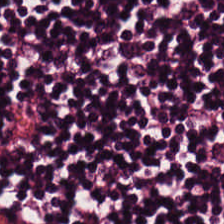Hematoxylin-and-eosin stained section. Showing lymphocytic infiltrate.
